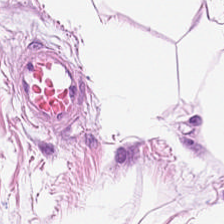Tissue type: adipose tissue.
